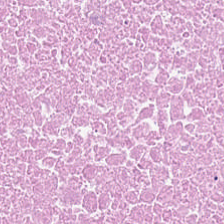H&E stain · 224×224 pixel tile · 0.5 µm/px.
Q: What does this patch show?
A: The field shows necrotic debris.
